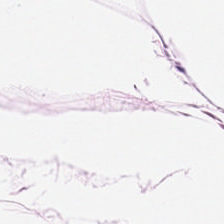H&E — Q: What tissue is shown?
A: The field shows adipose tissue.
